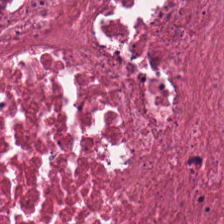H&E-stained tissue section.
Q: What is shown in this field?
A: It is debris.
